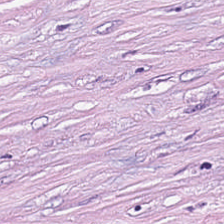H&E · 0.5 µm per pixel · 224×224 px patch — Tissue — tumor stroma.
